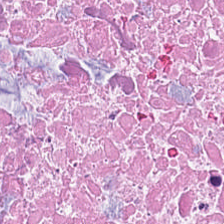Finding → debris.
